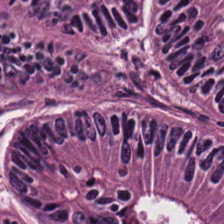The tissue here is colorectal adenocarcinoma.
